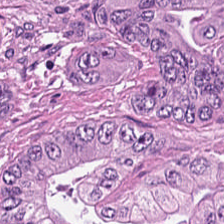H&E-stained tissue section · whole-slide-image patch. The predominant tissue is tumor epithelium.
